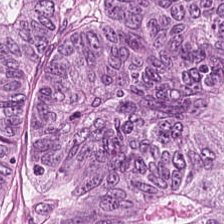Hematoxylin-and-eosin stained section. Finding → malignant epithelium.
